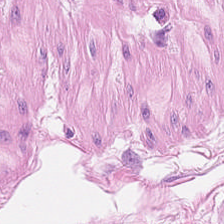Hematoxylin-and-eosin stained section.
The predominant tissue is smooth muscle.
